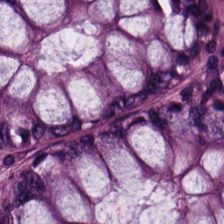Hematoxylin-and-eosin stained section.
Q: What is shown here?
A: The field shows normal colon mucosa.
